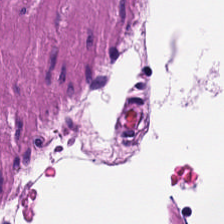Stain: H&E-stained tissue section.
Preparation: FFPE.
Tissue type: smooth-muscle tissue.
